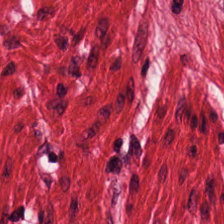Histology — smooth muscle.
